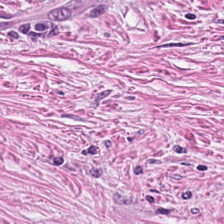Hematoxylin and eosin.
Q: Classify this patch.
A: This is desmoplastic stroma.
